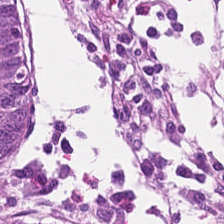H&E stain — This field is benign colonic mucosa.
